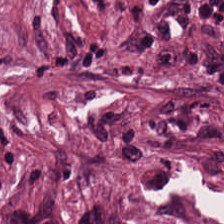Hematoxylin-and-eosin stained section. Formalin-fixed paraffin-embedded section — Tumor stroma.
